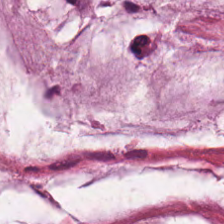WSI patch. H&E stain.
Tissue — mucus.
